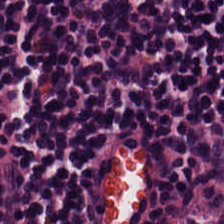H&E stain. 0.5 µm per pixel. The tissue here is lymphocyte aggregate.
